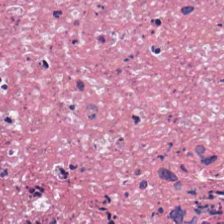224×224 px tile · hematoxylin and eosin. This patch shows cellular debris.
